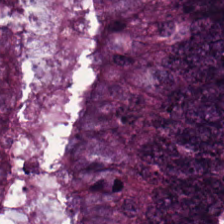H&E-stained tissue section.
Q: Classify this patch.
A: Malignant epithelium.
